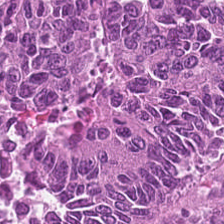H&E stain — Classification — colorectal adenocarcinoma epithelium.
